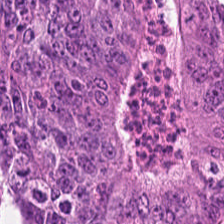H&E — The tissue is adenocarcinoma.
